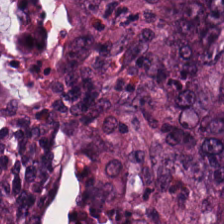Hematoxylin-and-eosin stained section.
Tissue class: malignant epithelium.
